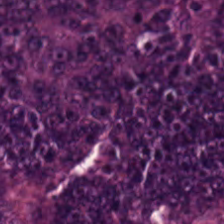Q: Identify the tissue.
A: The field shows colorectal adenocarcinoma.
